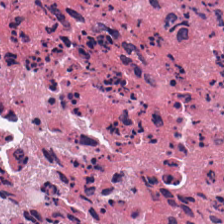H&E stain.
{"tissue_type": "cellular debris"}
